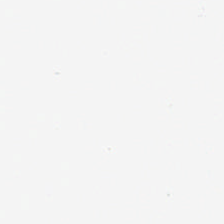Stain: H&E.
Field content: empty background.
